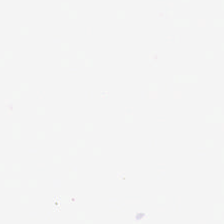Hematoxylin-and-eosin stained section. 224×224 px tile.
{"content": "no tissue"}
